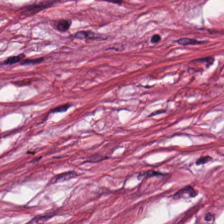Stain: hematoxylin and eosin.
Acquisition: WSI patch.
Resolution: 0.5 microns per pixel.
Tissue class: cancer-associated stroma.
